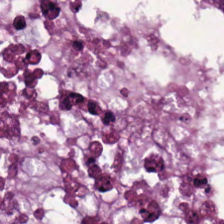224×224 pixel tile · H&E stain. Showing adenocarcinoma.
